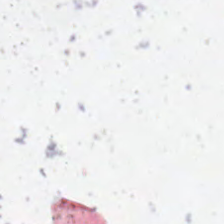H&E stain; WSI patch. This field is background (no tissue).
